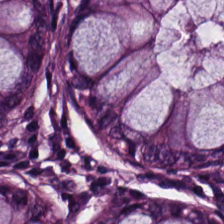Showing normal colon mucosa.
